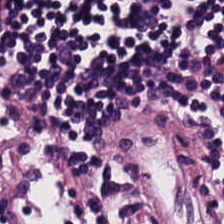Hematoxylin-and-eosin stained section. 0.5 microns per pixel — The tissue here is lymphocytic infiltrate.
